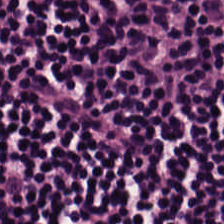20× equivalent magnification; hematoxylin-and-eosin stained section; brightfield microscopy.
Lymphocyte aggregate.
